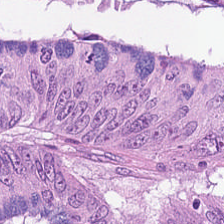H&E — colorectal adenocarcinoma epithelium.
